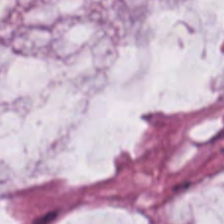H&E — Q: What is shown here?
A: Mucin.
